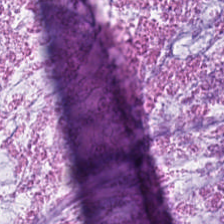224×224 pixel tile; brightfield; H&E. Finding → extracellular mucin.
